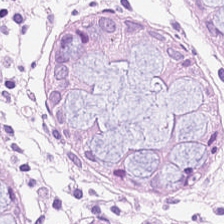FFPE · hematoxylin and eosin · brightfield microscopy. Impression → non-neoplastic colon mucosa.
